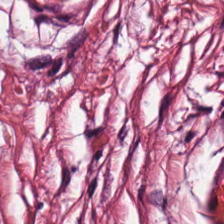H&E-stained tissue section. {"tissue_type": "desmoplastic stroma"}
